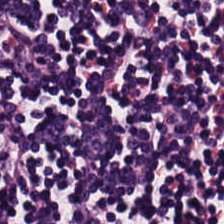Stain: hematoxylin and eosin.
Tile size: 224×224 px patch.
Tissue type: lymphoid infiltrate.
